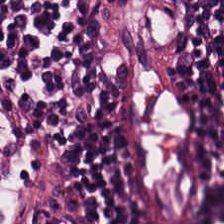20× equivalent magnification · FFPE · hematoxylin and eosin.
Impression → lymphocyte aggregate.
